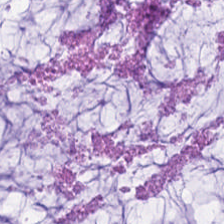Hematoxylin-and-eosin stained section — Predominantly mucus.
